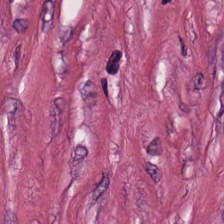0.5 µm per pixel; hematoxylin-and-eosin stained section. Tissue: desmoplastic stroma.
